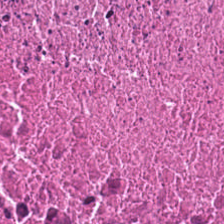Stain: H&E.
Tissue type: debris.
